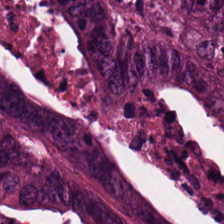Q: What type of tissue is this?
A: This is colorectal adenocarcinoma epithelium.
